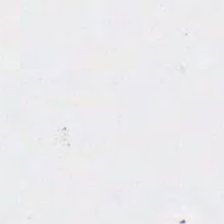Hematoxylin-and-eosin stained section — Q: What does this patch show?
A: It is background.
